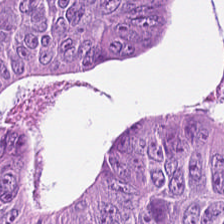H&E stain.
Showing malignant epithelium.
